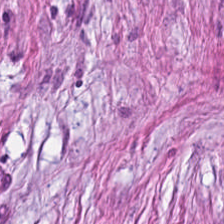Predominant tissue = desmoplastic stroma.
